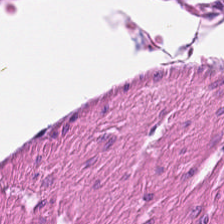Q: What is shown in this field?
A: The field shows muscularis.
